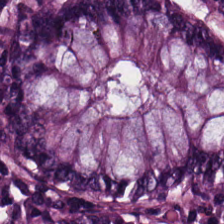{"tissue_type": "normal colon mucosa"}
